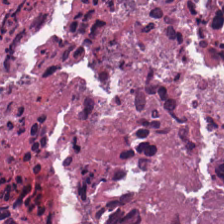WSI patch · H&E-stained tissue section. Histology → cellular debris.
